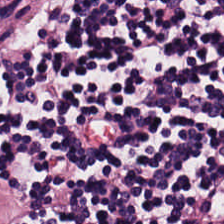The predominant tissue is lymphocyte aggregate.
